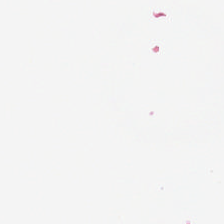H&E. FFPE — Field content: no tissue.
